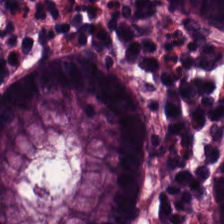Hematoxylin and eosin. {"tissue_type": "normal colonic mucosa"}
